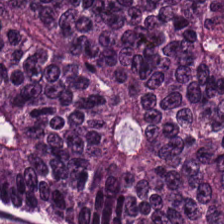Hematoxylin and eosin — Tissue type = tumor epithelium.
